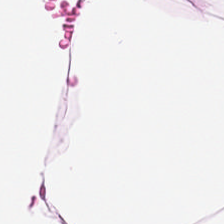Formalin-fixed paraffin-embedded section; H&E stain. The tissue here is adipose.
